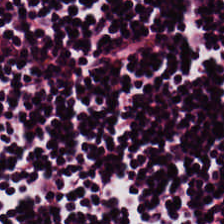Q: What tissue is shown?
A: It is lymphoid infiltrate.
